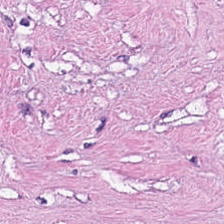Q: What is the predominant tissue type?
A: Debris.
